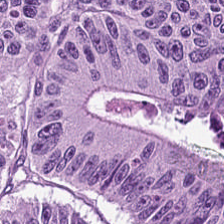H&E-stained tissue section.
Tissue: adenocarcinoma.
